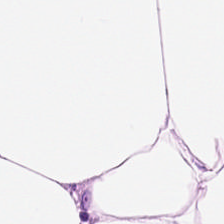H&E-stained tissue section.
Q: What is shown here?
A: It is adipose.
